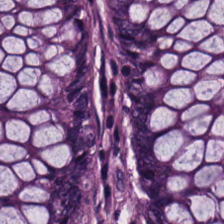Hematoxylin and eosin. This patch shows benign colonic mucosa.
